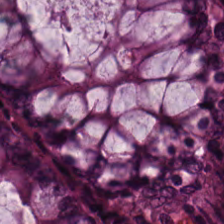Hematoxylin-and-eosin stained section.
The classification is normal colon mucosa.
